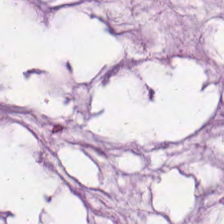Q: What is shown here?
A: This is mucus.
